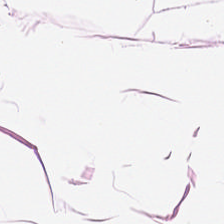Hematoxylin and eosin.
Predominantly adipose tissue.
